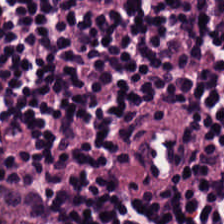The classification is lymphocytes.
